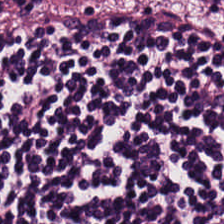H&E.
Impression → lymphocytes.
